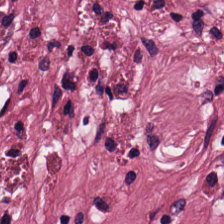H&E-stained tissue section — Impression → desmoplastic stroma.
